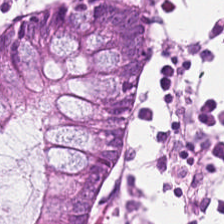Predominant tissue = benign colonic mucosa.
